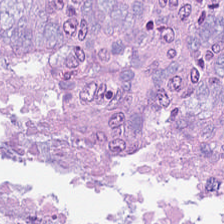Q: What is shown in this field?
A: It is colorectal adenocarcinoma.
